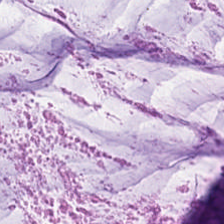0.5 µm per pixel; hematoxylin-and-eosin stained section; brightfield. Tissue = extracellular mucin.
